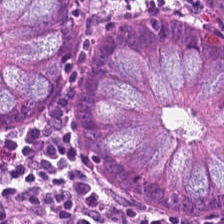H&E. Predominantly benign colonic mucosa.
